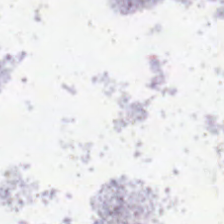224×224 px patch · hematoxylin and eosin · 20× equivalent magnification. Background — no tissue in this field.
